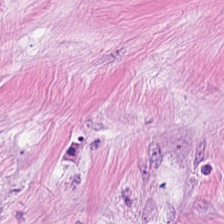Stain: hematoxylin-and-eosin stained section.
Tissue: desmoplastic stroma.
